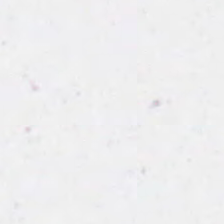Formalin-fixed paraffin-embedded section · hematoxylin and eosin · 0.5 µm/px. Field content — background.
